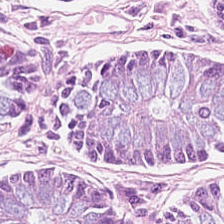FFPE · 224×224 pixel tile · hematoxylin and eosin — This field is non-neoplastic colon mucosa.
